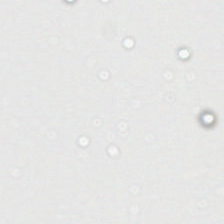Background — no tissue in this field.
